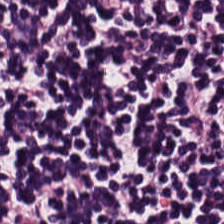H&E stain.
Predominant tissue — lymphocytes.
